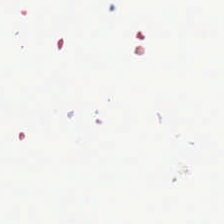Stain: hematoxylin-and-eosin stained section.
Field content: background (no tissue).
